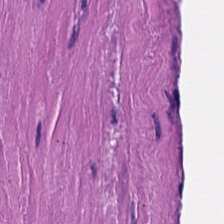H&E-stained tissue section — The tissue is smooth-muscle tissue.
